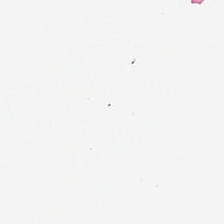The content is no tissue.
